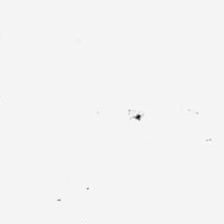224×224 px patch. H&E-stained tissue section. FFPE.
The field content is no tissue.
